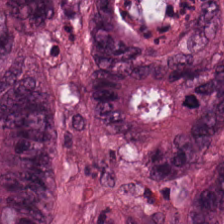Stain: H&E.
Resolution: 20× equivalent magnification.
Preparation: formalin-fixed paraffin-embedded section.
Tissue: colorectal adenocarcinoma epithelium.
